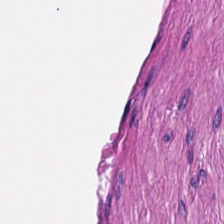Formalin-fixed paraffin-embedded section; hematoxylin-and-eosin stained section. Predominantly muscularis.
